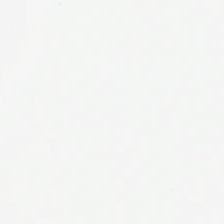Field content: background (no tissue).
